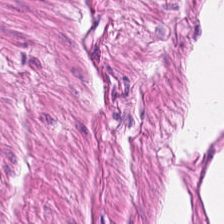Hematoxylin-and-eosin stained section. The predominant tissue is smooth-muscle tissue.
